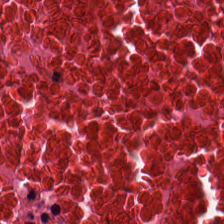FFPE tissue section · brightfield · hematoxylin-and-eosin stained section.
The tissue class is debris.
